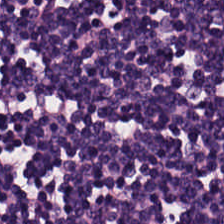224×224 pixel tile. H&E.
Q: What tissue type is shown here?
A: The field shows lymphocytes.
